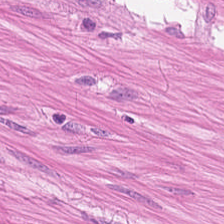0.5 microns per pixel · H&E. Q: Identify the tissue.
A: Smooth muscle.
